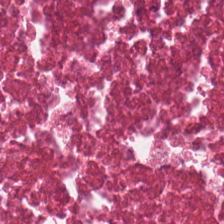Hematoxylin-and-eosin stained section · 20× equivalent magnification · 224×224 pixel tile.
Finding — cellular debris.
